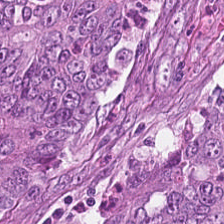H&E stain · 224×224 px tile.
Q: What is the predominant tissue type?
A: It is adenocarcinoma.
